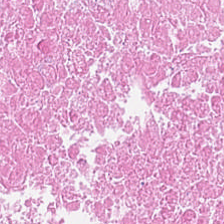H&E-stained tissue section — Finding — cellular debris.
